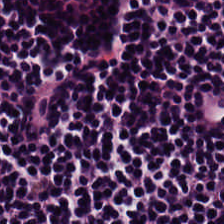Stain: H&E.
Tissue type: lymphocytes.
